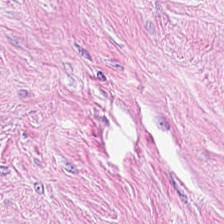This field is tumor stroma.
